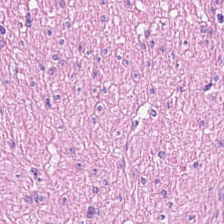Hematoxylin and eosin; brightfield. This patch shows smooth-muscle tissue.
